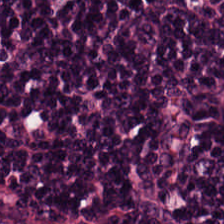Q: What tissue is shown?
A: Lymphoid infiltrate.
